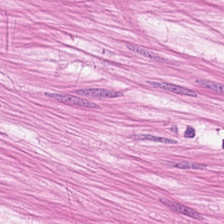Stain: H&E-stained tissue section.
Preparation: FFPE tissue section.
Acquisition: WSI patch.
Predominant tissue: muscularis.
